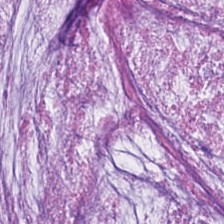Q: What is shown in this field?
A: This is mucus.
